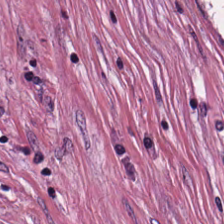Hematoxylin and eosin; brightfield.
This field is cancer-associated stroma.
